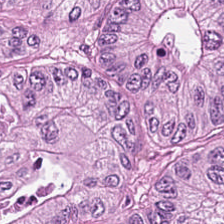Stain: hematoxylin and eosin.
Predominant tissue: colorectal adenocarcinoma.
